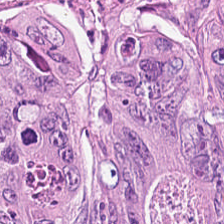Hematoxylin-and-eosin stained section. Q: What is the predominant tissue type?
A: The field shows adenocarcinoma.
